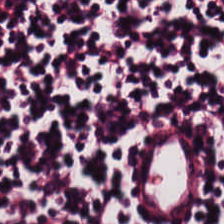H&E — Finding → lymphoid infiltrate.
